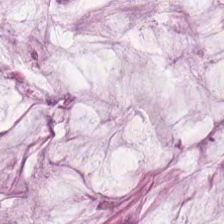0.5 microns per pixel. H&E. 224×224 px patch.
Predominantly mucus.
